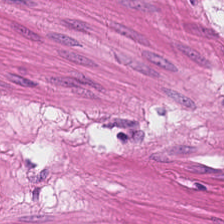H&E stain — {"tissue_type": "smooth muscle"}
